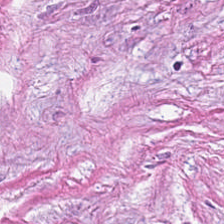Hematoxylin and eosin. Predominantly tumor stroma.
